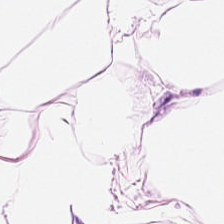Whole-slide-image patch. FFPE tissue section. Hematoxylin-and-eosin stained section. Adipocytes.
